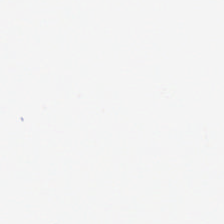Q: What does this patch show?
A: It is background (no tissue).
